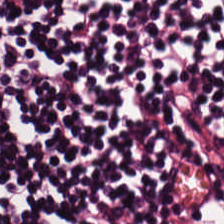224×224 px tile. Hematoxylin-and-eosin stained section. Brightfield. The tissue here is lymphocytes.
